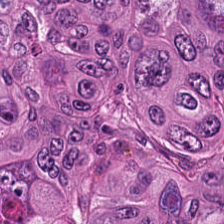224×224 pixel tile. H&E-stained tissue section — Predominant tissue — adenocarcinoma.
